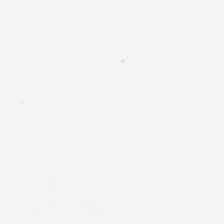Q: What does this patch show?
A: The field shows empty background.
